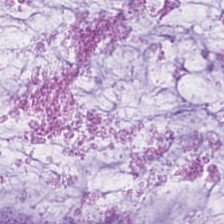Predominant tissue — extracellular mucin.
